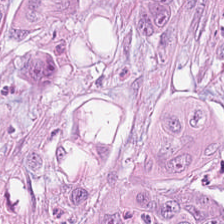H&E.
This patch shows colorectal adenocarcinoma epithelium.
